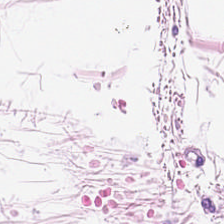Stain: H&E stain.
Tissue class: fat tissue.
